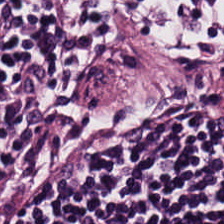H&E.
This patch shows lymphocytes.
